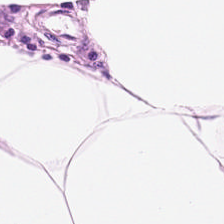Hematoxylin and eosin — The tissue class is fat tissue.
